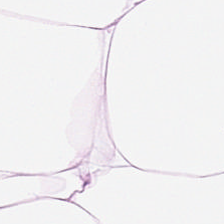H&E — Q: What is shown here?
A: The field shows fat tissue.
